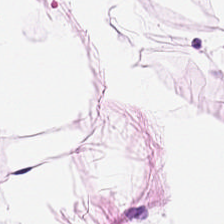The tissue here is adipocytes.
